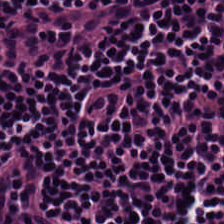H&E. Tissue class — lymphoid infiltrate.
